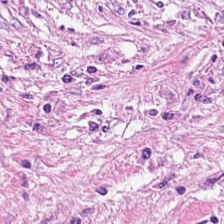H&E. Showing tumor-associated stroma.
